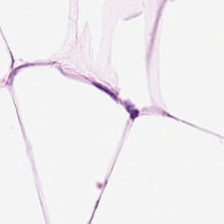Hematoxylin and eosin; FFPE tissue section. Predominant tissue — adipose.
